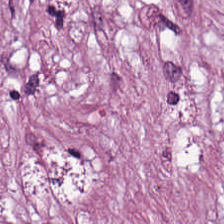Stain: H&E.
Acquisition: WSI patch.
Preparation: FFPE.
Predominant tissue: tumor stroma.
